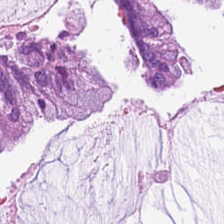Whole-slide-image patch; H&E stain; 20× equivalent magnification. The tissue class is mucus.
